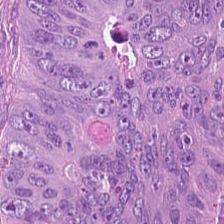H&E — colorectal adenocarcinoma.
